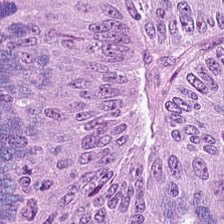Q: What tissue is shown?
A: Tumor epithelium.
